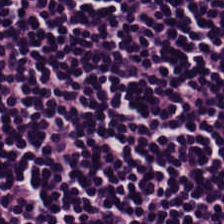H&E stain. Histology — lymphoid infiltrate.
